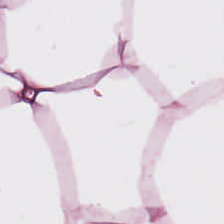Showing adipose tissue.
